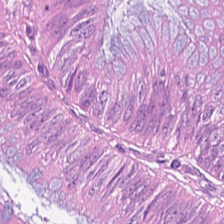Hematoxylin and eosin. The tissue type is malignant epithelium.
